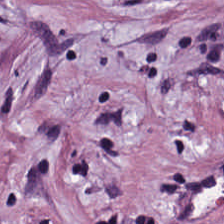Hematoxylin and eosin — Tissue class — desmoplastic stroma.
